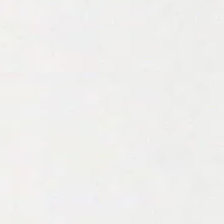Classification — no tissue.
